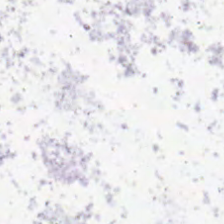The field content is background (no tissue).
